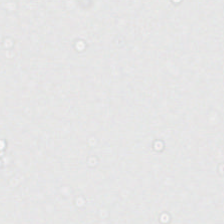This field is background (no tissue).
